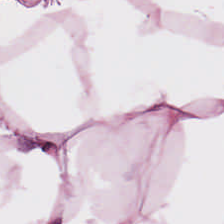Hematoxylin and eosin · brightfield · 20× equivalent magnification. Histology → adipose tissue.
